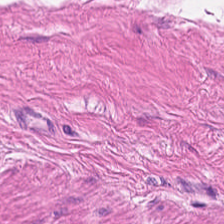H&E. Formalin-fixed paraffin-embedded section. 224×224 px tile. Smooth-muscle tissue.
